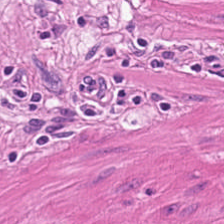Stain: H&E.
Preparation: FFPE tissue section.
Tissue type: muscularis.
